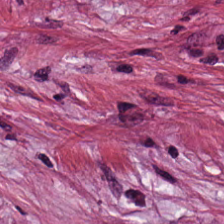H&E stain.
Histology — cancer-associated stroma.
